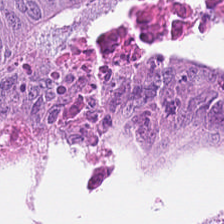H&E-stained tissue section. Q: What type of tissue is this?
A: This is colorectal adenocarcinoma epithelium.
